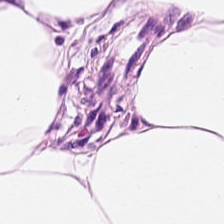Showing adipose.
